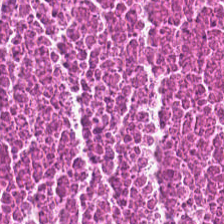Brightfield. H&E. Predominant tissue — cellular debris.
